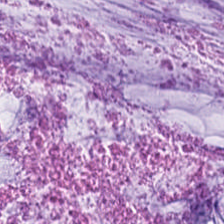Hematoxylin and eosin — Q: What is the predominant tissue type?
A: It is extracellular mucin.
